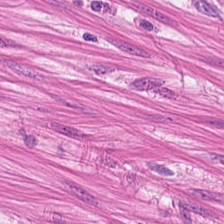20× equivalent magnification; H&E; whole-slide-image patch — Showing smooth muscle.
